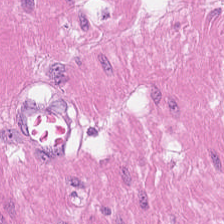WSI patch · hematoxylin-and-eosin stained section.
The tissue here is smooth muscle.
